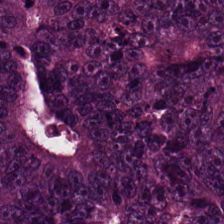Hematoxylin and eosin · 224×224 pixel tile — This patch shows malignant epithelium.
